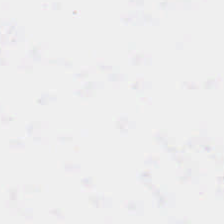Hematoxylin-and-eosin stained section.
The content is background (no tissue).
